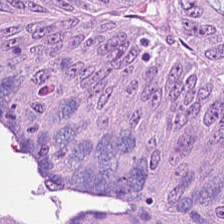Brightfield microscopy · 0.5 µm per pixel · hematoxylin-and-eosin stained section.
This patch shows tumor epithelium.
